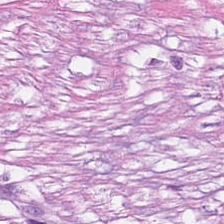Stain: H&E stain.
Resolution: 0.5 µm per pixel.
Tile size: 224×224 px tile.
Tissue class: tumor stroma.
